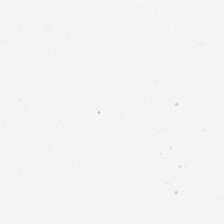0.5 microns per pixel. H&E-stained tissue section.
Content = background (no tissue).
